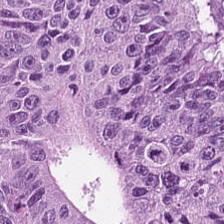FFPE. WSI patch. H&E stain — The classification is colorectal adenocarcinoma epithelium.
